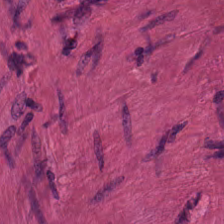H&E-stained tissue section. {"tissue_type": "smooth muscle"}
